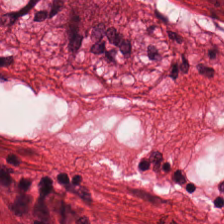Stain: hematoxylin and eosin.
Acquisition: brightfield.
Preparation: FFPE tissue section.
Classification: smooth-muscle tissue.
